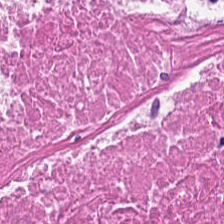Hematoxylin-and-eosin stained section · whole-slide-image patch · FFPE. {"tissue_type": "necrotic debris"}
